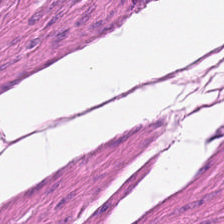Stain: hematoxylin-and-eosin stained section.
Preparation: formalin-fixed paraffin-embedded section.
Classification: smooth-muscle tissue.
